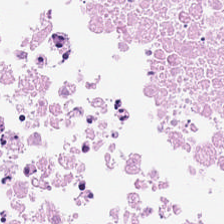0.5 microns per pixel. H&E-stained tissue section. Predominantly cellular debris.
